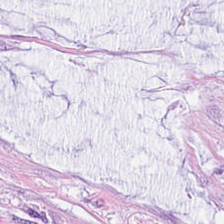Stain: H&E-stained tissue section.
Tissue class: extracellular mucin.
